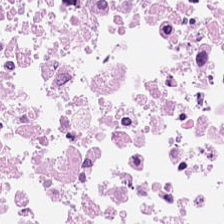H&E patch showing cellular debris.
